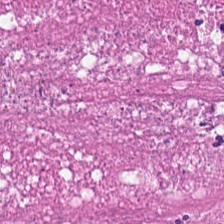Hematoxylin and eosin · brightfield — Tissue class — cellular debris.
